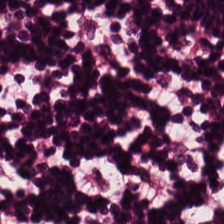Q: What is shown here?
A: Lymphocytes.
